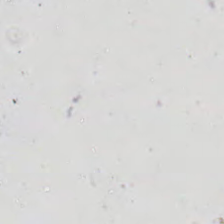FFPE; hematoxylin and eosin. The classification is background.
